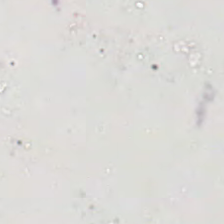H&E-stained tissue section — Q: What is shown in this field?
A: This is background (no tissue).
